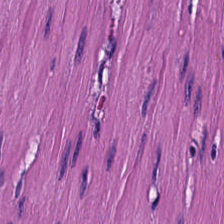Stain: H&E.
Predominant tissue: muscularis.
